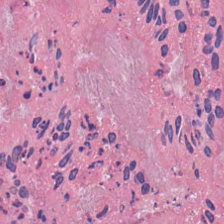The predominant tissue is necrotic debris.
